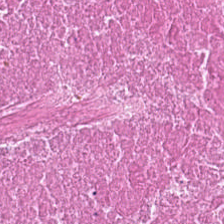H&E patch showing debris.
